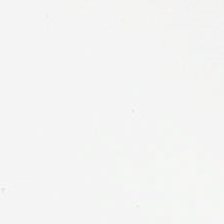H&E.
Field content = empty background.
